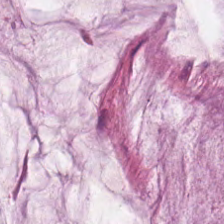Showing mucus.
